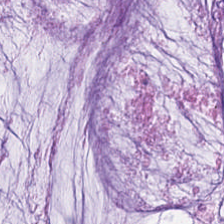H&E-stained tissue section — Predominantly mucin.
